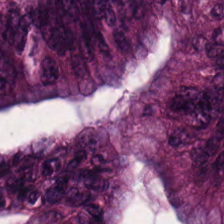The predominant tissue is malignant epithelium.
